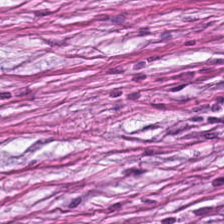224×224 pixel tile. H&E-stained tissue section.
The predominant tissue is tumor stroma.
